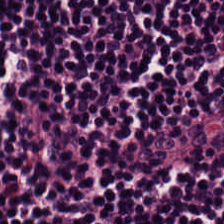Hematoxylin and eosin. Whole-slide-image patch — The tissue is lymphoid infiltrate.
